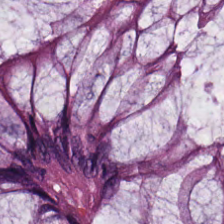0.5 microns per pixel · FFPE · hematoxylin-and-eosin stained section.
Predominantly non-neoplastic colon mucosa.
